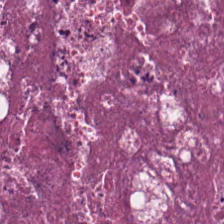224×224 px patch. Hematoxylin-and-eosin stained section. Finding → necrotic debris.
